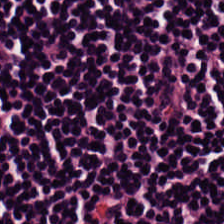H&E. 224×224 px tile. WSI patch — Tissue type — lymphocytes.
